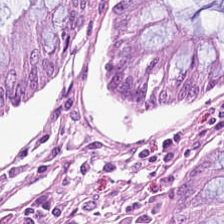Stain: H&E.
Tissue class: non-neoplastic colon mucosa.
